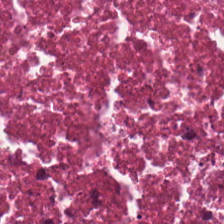Classification = debris.
